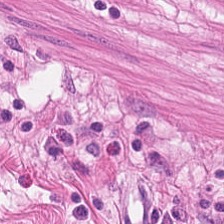Brightfield; hematoxylin and eosin. Tissue type: muscularis.
